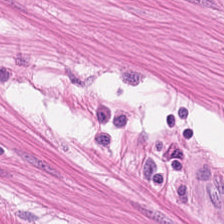H&E stain; whole-slide-image patch. The tissue here is muscularis.
